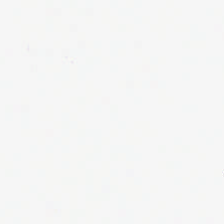Stain: H&E stain.
Acquisition: brightfield microscopy.
Tile size: 224×224 px patch.
Classification: no tissue.
